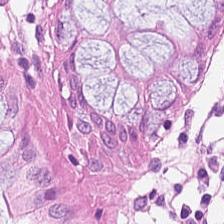The classification is normal colonic mucosa.
